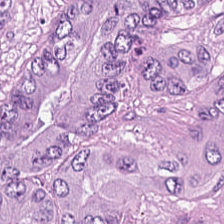H&E; whole-slide-image patch — Tissue type: colorectal adenocarcinoma epithelium.
